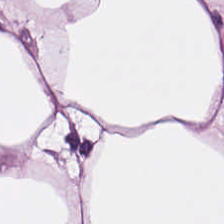H&E stain.
This field is adipose.
